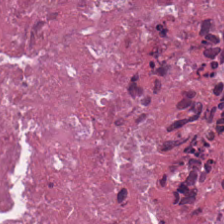FFPE · H&E stain.
Q: What tissue type is shown here?
A: It is cellular debris.
